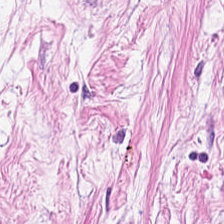Hematoxylin and eosin — Q: Identify the tissue.
A: It is cancer-associated stroma.
